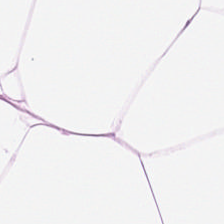Stain: H&E stain.
Tissue: adipose tissue.
